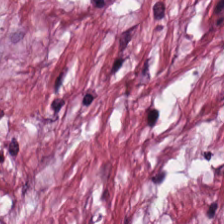Whole-slide-image patch. H&E stain — Finding → tumor-associated stroma.
